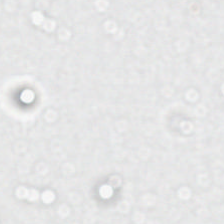H&E stain.
Finding → no tissue.
